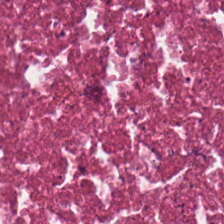H&E — Showing necrotic debris.
